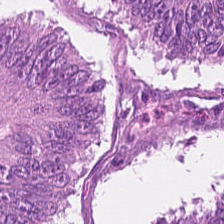H&E stain. The classification is colorectal adenocarcinoma.
